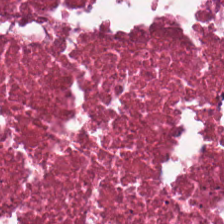Stain: hematoxylin-and-eosin stained section.
Classification: necrotic debris.
